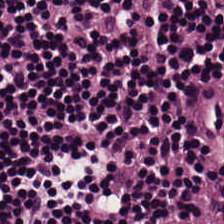Hematoxylin and eosin — Q: What tissue is shown?
A: The field shows lymphocyte aggregate.
